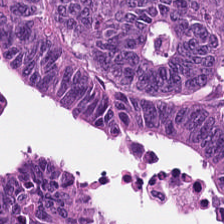FFPE · brightfield microscopy · H&E stain — The tissue here is colorectal adenocarcinoma epithelium.
